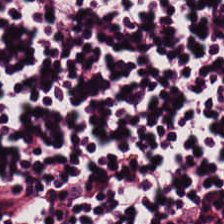H&E; 0.5 microns per pixel; formalin-fixed paraffin-embedded section.
Q: What type of tissue is this?
A: It is lymphocyte aggregate.
